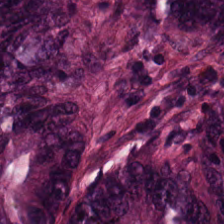Hematoxylin-and-eosin stained section; 224×224 px patch.
Predominant tissue — tumor epithelium.
